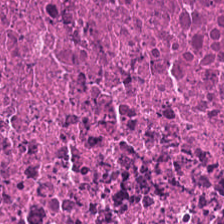20× equivalent magnification · 224×224 px patch · hematoxylin-and-eosin stained section.
Finding — cellular debris.
